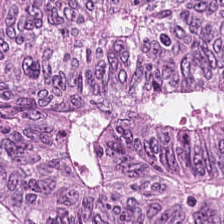{"tissue_type": "colorectal adenocarcinoma epithelium"}
